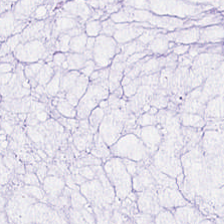H&E. Tissue type — mucus.
